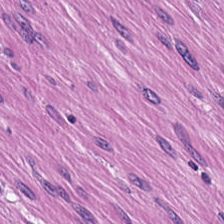Hematoxylin-and-eosin stained section — Q: What is the predominant tissue type?
A: It is smooth muscle.
